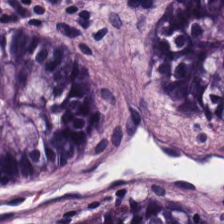H&E · 20× equivalent magnification.
Classification — benign colonic mucosa.
